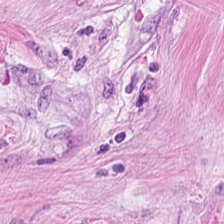Tissue type — desmoplastic stroma.
